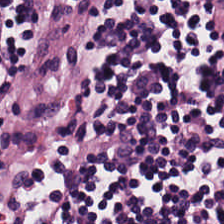224×224 pixel tile · H&E stain · 0.5 µm/px.
Tissue — lymphoid infiltrate.
